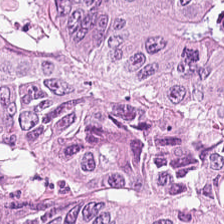The tissue type is malignant epithelium.
